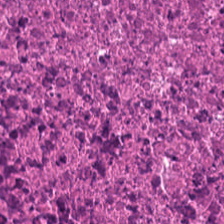0.5 µm/px. 224×224 px patch. H&E-stained tissue section.
Debris.
